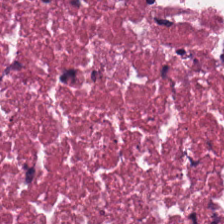H&E-stained tissue section · 20× equivalent magnification — Showing necrotic debris.
